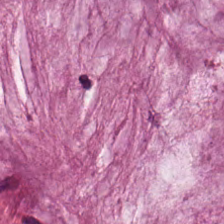Q: What is shown here?
A: The field shows mucin.
